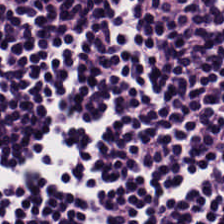H&E stain · WSI patch · 20× equivalent magnification — Q: What is shown here?
A: Lymphoid infiltrate.
